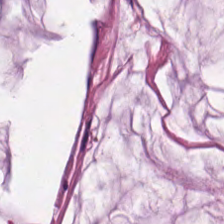Stain: hematoxylin-and-eosin stained section.
Resolution: 0.5 µm per pixel.
Tile size: 224×224 px patch.
Classification: mucus.
